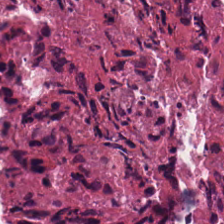H&E. 20× equivalent magnification. WSI patch — Tissue class — necrotic debris.
